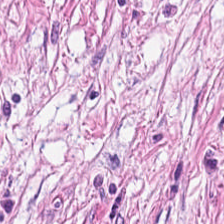Q: Classify this patch.
A: Desmoplastic stroma.
